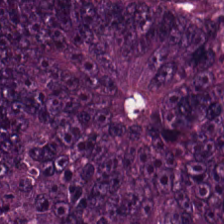Hematoxylin and eosin. Q: Identify the tissue.
A: The field shows colorectal adenocarcinoma epithelium.
